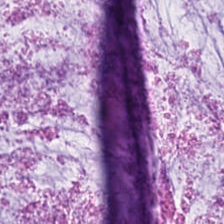Tissue type = mucus.
